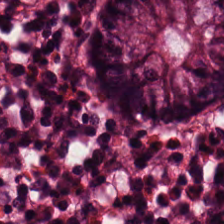Brightfield; 0.5 µm/px; H&E.
Non-neoplastic colon mucosa.
